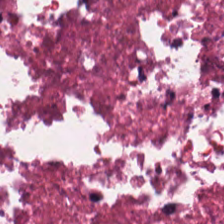Stain: H&E stain.
Tissue type: cellular debris.
